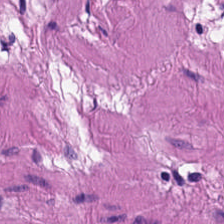H&E. Showing smooth-muscle tissue.
